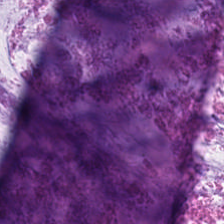H&E-stained tissue section — Predominant tissue = extracellular mucin.
